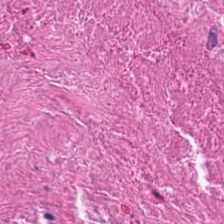Hematoxylin and eosin — The tissue here is cellular debris.
